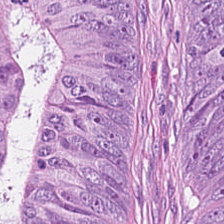20× equivalent magnification; H&E.
Finding — adenocarcinoma.
